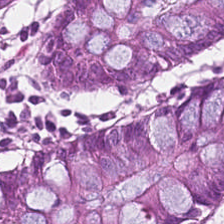Brightfield microscopy. Hematoxylin and eosin. 224×224 px patch.
Histology — benign colonic mucosa.
